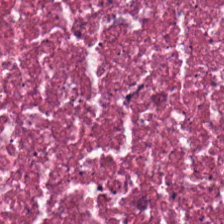Whole-slide-image patch; hematoxylin-and-eosin stained section. Showing debris.
